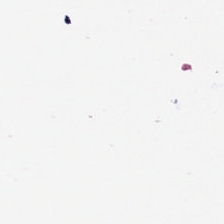FFPE · hematoxylin-and-eosin stained section · brightfield.
Q: Classify this patch.
A: It is no tissue.
